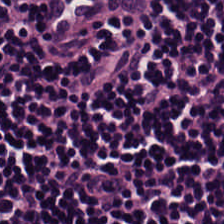This patch shows lymphocytic infiltrate.
